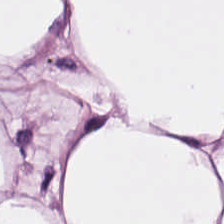Hematoxylin-and-eosin stained section. Q: Classify this patch.
A: The field shows adipose tissue.
